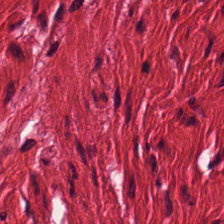H&E-stained tissue section showing muscularis.
